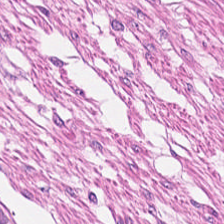H&E stain.
Q: What is the predominant tissue type?
A: The field shows muscularis.
